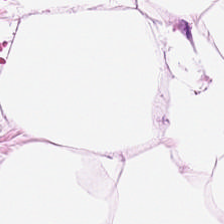H&E-stained tissue section. Showing fat tissue.
